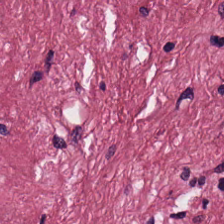H&E-stained tissue section. Brightfield microscopy.
The predominant tissue is cancer-associated stroma.
